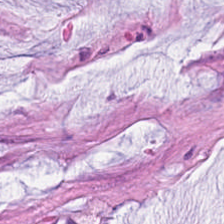Tissue = extracellular mucin.
